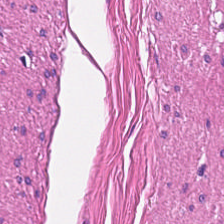This field is muscularis.
